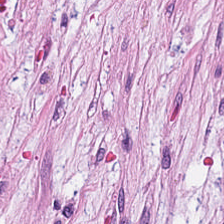Hematoxylin and eosin. The predominant tissue is cancer-associated stroma.
